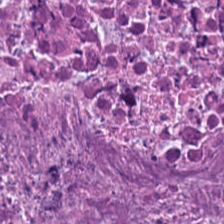Hematoxylin and eosin — Q: What does this patch show?
A: This is debris.
